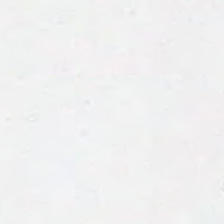This field is background (no tissue).
